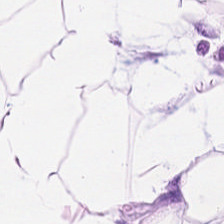Predominantly adipose tissue.
